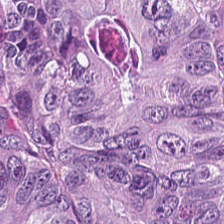Q: What is shown here?
A: The field shows colorectal adenocarcinoma epithelium.
